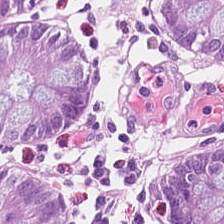Tissue: non-neoplastic colon mucosa.
